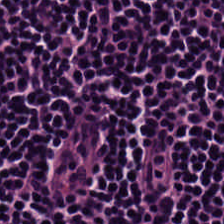Q: What is shown here?
A: It is lymphocyte aggregate.
